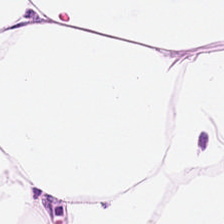Q: What type of tissue is this?
A: It is adipose.
